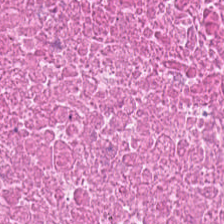Hematoxylin-and-eosin stained section.
Debris.
